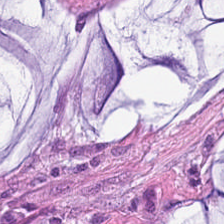224×224 pixel tile. H&E — Showing extracellular mucin.
